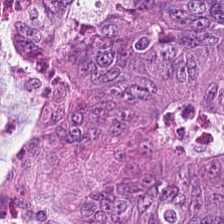Tissue type: colorectal adenocarcinoma epithelium.
